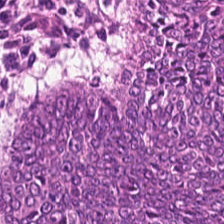Tissue class = malignant epithelium.
